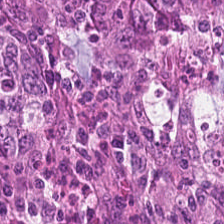Tissue: colorectal adenocarcinoma.
